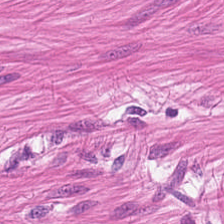Hematoxylin-and-eosin stained section.
This field is muscularis.
